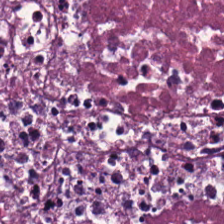Predominant tissue — necrotic debris.
